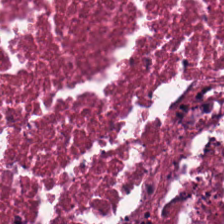Stain: H&E-stained tissue section.
Acquisition: WSI patch.
Tissue type: cellular debris.
